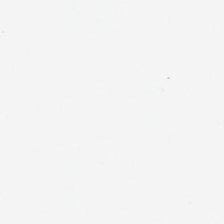Stain: H&E-stained tissue section.
Field content: no tissue.
